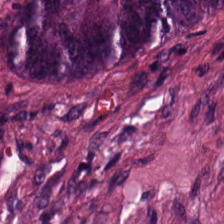H&E.
Finding — colorectal adenocarcinoma.
